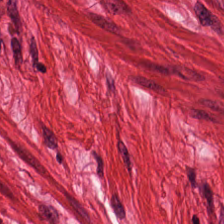H&E — Muscularis.
